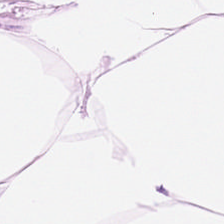H&E stain. Tissue class = adipose tissue.
